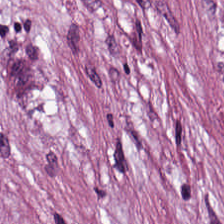H&E — Q: What is shown here?
A: This is tumor-associated stroma.
